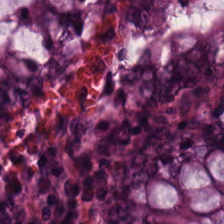H&E-stained tissue section. Whole-slide-image patch — Tissue type — non-neoplastic colon mucosa.
